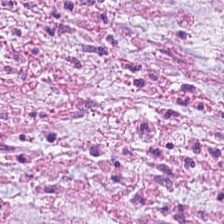H&E. Impression → desmoplastic stroma.
